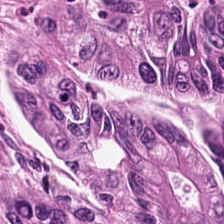Hematoxylin and eosin — This patch shows colorectal adenocarcinoma.
